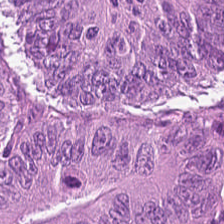Hematoxylin-and-eosin section: colorectal adenocarcinoma.
